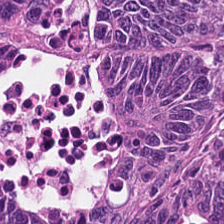H&E stain.
The tissue class is adenocarcinoma.
